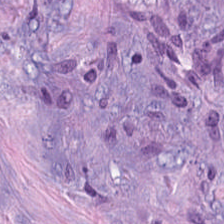Hematoxylin-and-eosin stained section. This patch shows cancer-associated stroma.
